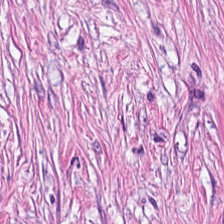Stain: hematoxylin-and-eosin stained section.
Preparation: FFPE.
Tissue: desmoplastic stroma.
